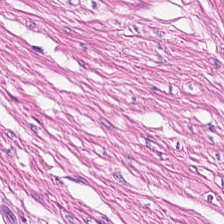H&E-stained tissue section showing smooth muscle.
